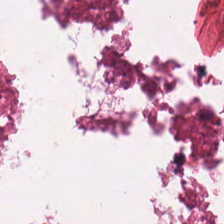H&E stain — Tissue — cellular debris.
